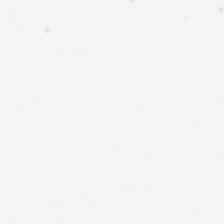H&E — Classification — empty background.
